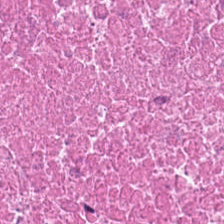H&E stain · 0.5 µm per pixel.
The predominant tissue is debris.
